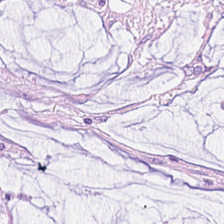Hematoxylin-and-eosin stained section. Predominantly mucin.
